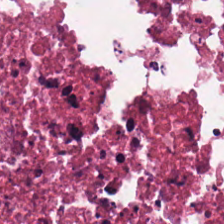FFPE tissue section; hematoxylin and eosin; 0.5 microns per pixel. Cellular debris.
